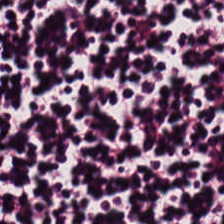Tissue type — lymphocytic infiltrate.
